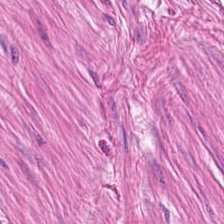The tissue is muscularis.
